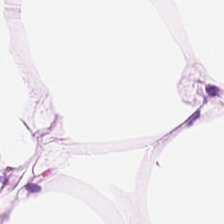224×224 pixel tile; hematoxylin-and-eosin stained section. {"tissue_type": "adipose"}
